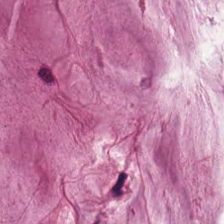Hematoxylin-and-eosin stained section.
Tissue class — mucin.
